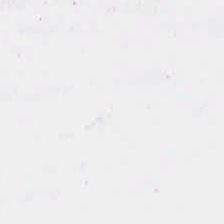H&E — Empty field — background.
